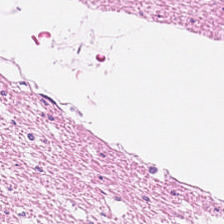Classification: muscularis.
